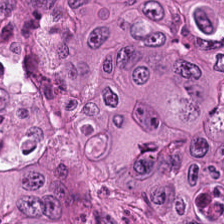H&E stain.
The predominant tissue is tumor epithelium.
